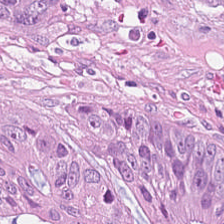H&E — Predominantly tumor epithelium.
